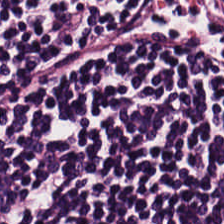H&E-stained tissue section — The predominant tissue is lymphocytes.
